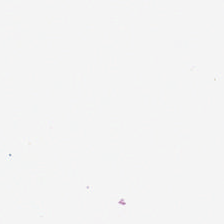Stain: H&E stain.
Resolution: 0.5 microns per pixel.
Content: empty background.
